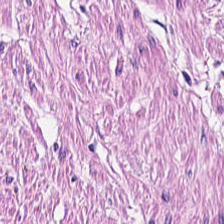H&E-stained tissue section — Predominant tissue = muscularis.
